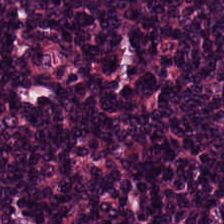H&E-stained tissue section. Impression — lymphoid infiltrate.
